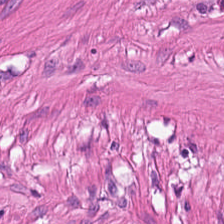FFPE tissue section. Hematoxylin and eosin — Showing smooth muscle.
